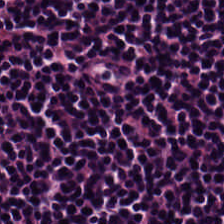Hematoxylin and eosin.
Predominant tissue: lymphocytic infiltrate.
